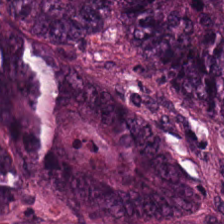H&E-stained tissue section. This patch shows colorectal adenocarcinoma epithelium.
